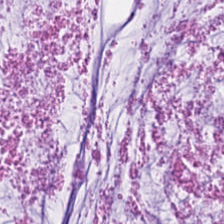Hematoxylin-and-eosin stained section. Q: Identify the tissue.
A: The field shows extracellular mucin.
